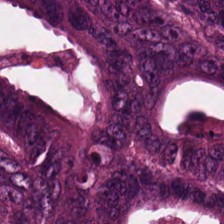H&E; 20× equivalent magnification. Adenocarcinoma.
